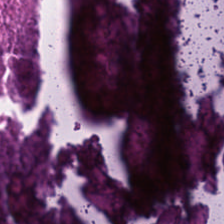H&E-stained tissue section — The predominant tissue is cellular debris.
